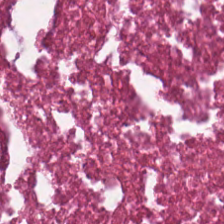H&E. Predominant tissue — debris.
